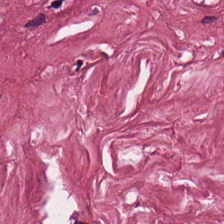224×224 px patch. H&E. 0.5 µm per pixel. Tissue type: cancer-associated stroma.
